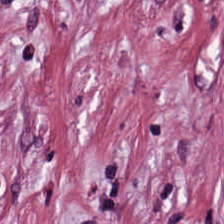Hematoxylin-and-eosin stained section. 224×224 px patch — Tissue type: tumor-associated stroma.
